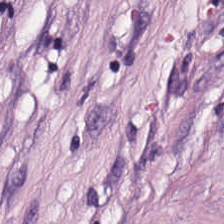H&E · 224×224 px patch · WSI patch — {"tissue_type": "tumor stroma"}
